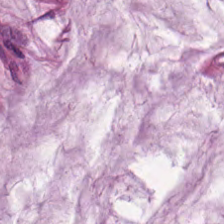224×224 px patch. H&E — Tissue type = mucus.
